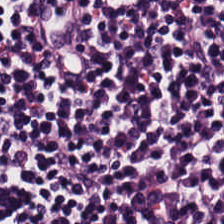Whole-slide-image patch. H&E-stained tissue section. Predominant tissue — lymphocyte aggregate.
